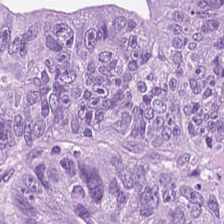Stain: H&E.
Tissue class: malignant epithelium.
